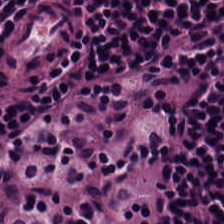This patch shows lymphoid infiltrate.
